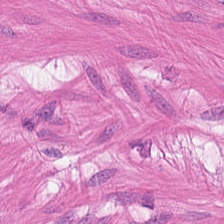Hematoxylin and eosin.
Tissue class — muscularis.
